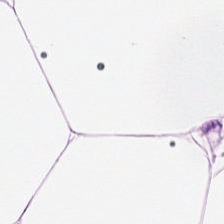Stain: H&E.
Tissue class: adipose tissue.
